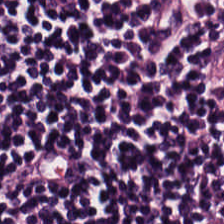H&E stain — Tissue class = lymphoid infiltrate.
